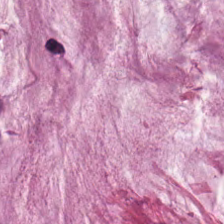Hematoxylin-and-eosin stained section.
Mucus.
